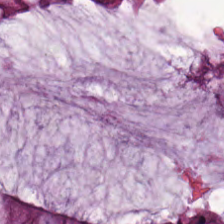H&E stain. Normal colon mucosa.
